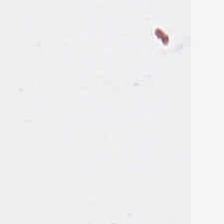WSI patch; FFPE tissue section; hematoxylin and eosin. Impression — background.
